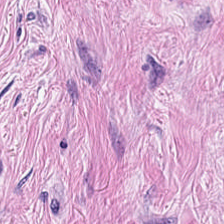0.5 microns per pixel. H&E.
The tissue class is desmoplastic stroma.
